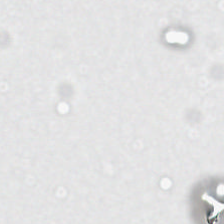0.5 microns per pixel; H&E.
Finding — empty background.
